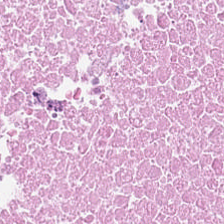Hematoxylin-and-eosin stained section — Predominantly debris.
